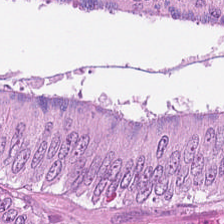0.5 µm per pixel. H&E.
The tissue class is adenocarcinoma.
